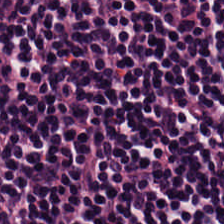Whole-slide-image patch. H&E stain. Q: What is shown here?
A: Lymphocytic infiltrate.
